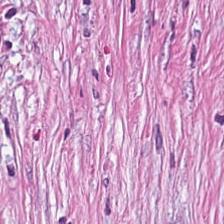H&E — tumor stroma.
